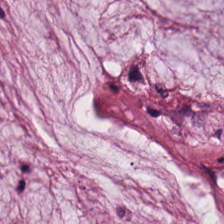{"tissue_type": "extracellular mucin"}
